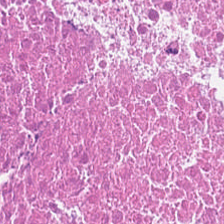224×224 pixel tile · H&E stain. Predominantly necrotic debris.
